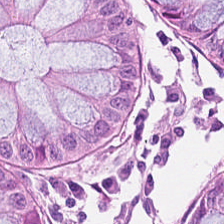H&E stain; brightfield. This field is normal colonic mucosa.
